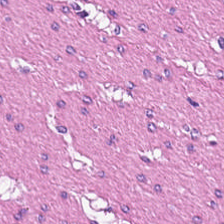WSI patch. H&E. 0.5 µm per pixel — Smooth-muscle tissue.
